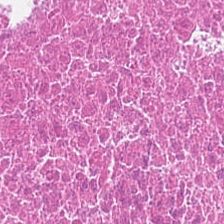Hematoxylin-and-eosin stained section · formalin-fixed paraffin-embedded section. Histology → debris.
